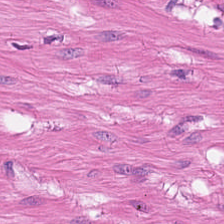The tissue here is muscularis.
